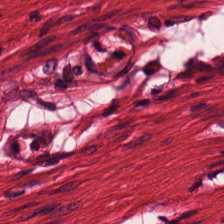H&E — Q: What is shown here?
A: This is smooth-muscle tissue.
